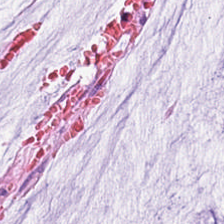Hematoxylin-and-eosin stained section. 0.5 µm per pixel — {"tissue_type": "mucus"}
